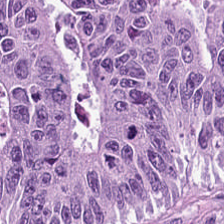FFPE tissue section · hematoxylin-and-eosin stained section. Predominantly adenocarcinoma.
